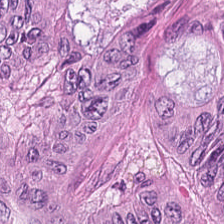Hematoxylin-and-eosin stained section. Tissue class — colorectal adenocarcinoma.
